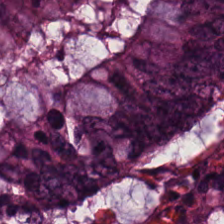224×224 px patch; brightfield; hematoxylin and eosin.
Predominant tissue — colorectal adenocarcinoma.
